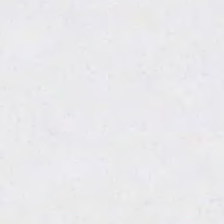Stain: hematoxylin-and-eosin stained section.
Classification: no tissue.
